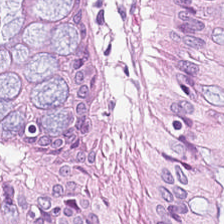FFPE tissue section. 20× equivalent magnification. H&E stain — Q: What is shown in this field?
A: The field shows normal colon mucosa.
